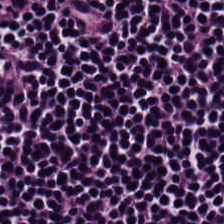Hematoxylin and eosin. Classification: lymphocytic infiltrate.
